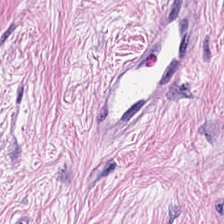Hematoxylin and eosin — The predominant tissue is cancer-associated stroma.
